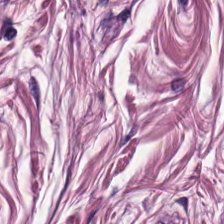Impression — muscularis.
